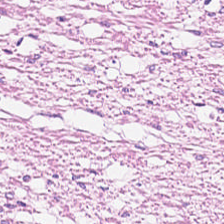H&E stain.
The tissue class is muscularis.
